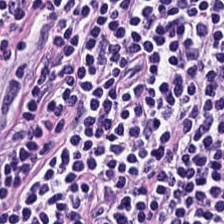Hematoxylin-and-eosin stained section · WSI patch. Q: What type of tissue is this?
A: The field shows lymphocytic infiltrate.
